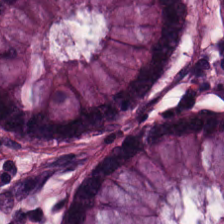H&E-stained tissue section · 224×224 pixel tile · 0.5 µm/px. Showing non-neoplastic colon mucosa.
